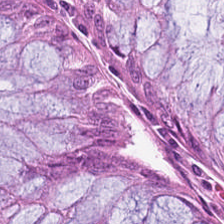224×224 pixel tile · FFPE · H&E — Finding → normal colonic mucosa.
